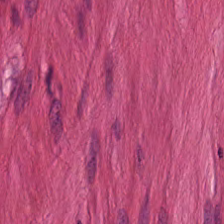Histology → smooth muscle.
